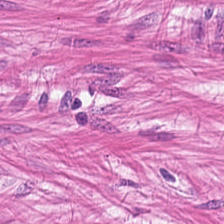H&E — smooth-muscle tissue.
